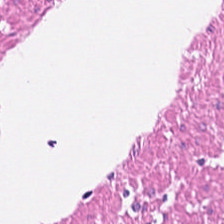Stain: hematoxylin-and-eosin stained section.
Tissue: smooth muscle.
